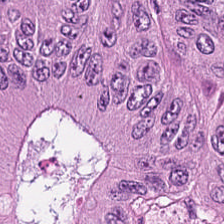224×224 px patch; H&E-stained tissue section — Tissue class = colorectal adenocarcinoma epithelium.
